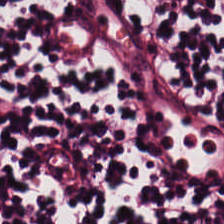Hematoxylin-and-eosin stained section. 0.5 microns per pixel.
Q: Identify the tissue.
A: This is lymphoid infiltrate.
